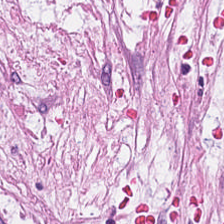H&E — Desmoplastic stroma.
